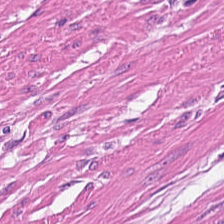FFPE tissue section; hematoxylin-and-eosin stained section. Tissue: smooth-muscle tissue.
